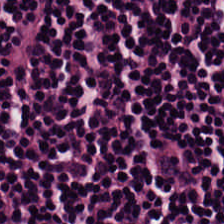H&E.
This patch shows lymphocytic infiltrate.
